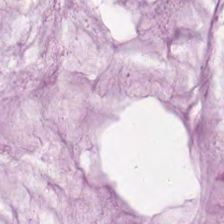FFPE tissue section. H&E. 0.5 µm per pixel. Q: What is shown in this field?
A: Mucin.
